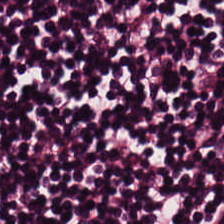H&E stain.
Q: What tissue is shown?
A: The field shows lymphocytes.
